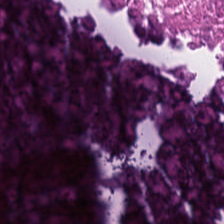H&E-stained tissue section · WSI patch — The classification is necrotic debris.
